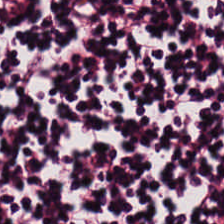Histology → lymphoid infiltrate.
